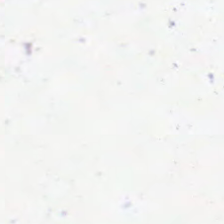Hematoxylin and eosin — Histology — no tissue.
